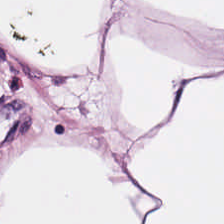H&E stain; brightfield microscopy.
The predominant tissue is adipose.
